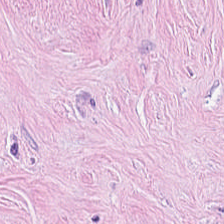Hematoxylin and eosin — Q: What does this patch show?
A: This is tumor stroma.
